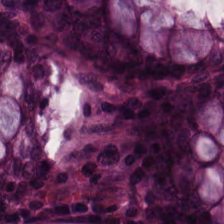Hematoxylin and eosin · whole-slide-image patch. Finding → non-neoplastic colon mucosa.
